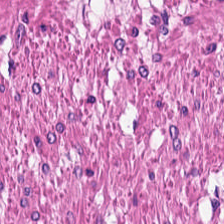H&E stain — Finding → smooth-muscle tissue.
